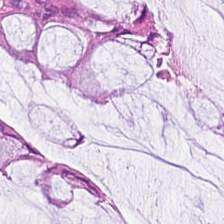The predominant tissue is non-neoplastic colon mucosa.
